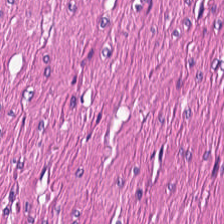The tissue here is smooth muscle.
